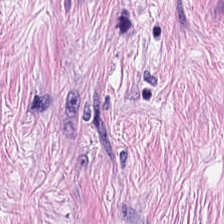H&E. FFPE tissue section. 224×224 pixel tile — {"tissue_type": "tumor stroma"}
